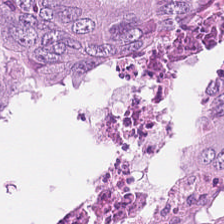Hematoxylin and eosin. This field is colorectal adenocarcinoma epithelium.
